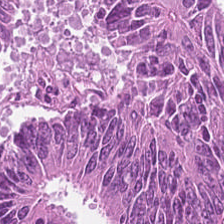H&E. 224×224 px tile.
Histology → malignant epithelium.
